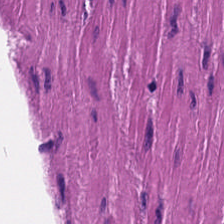Stain: H&E.
Resolution: 0.5 µm/px.
Tissue: muscularis.
